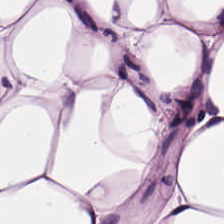H&E · 224×224 pixel tile.
The predominant tissue is adipose.
